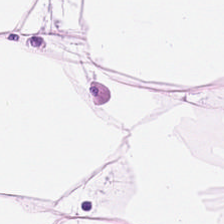Brightfield microscopy. 224×224 pixel tile. H&E-stained tissue section — Tissue class = adipose.
